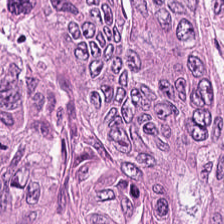Hematoxylin-and-eosin stained section · 0.5 µm/px — This patch shows colorectal adenocarcinoma.
